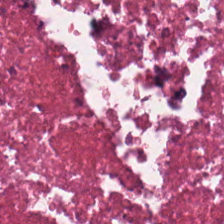Q: What does this patch show?
A: This is necrotic debris.
